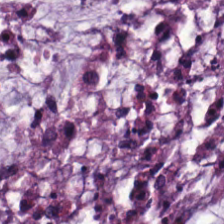H&E-stained tissue section.
Showing mucin.
